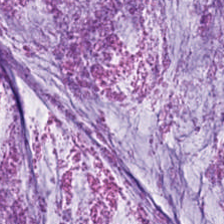Stain: H&E stain.
Tissue: mucus.
